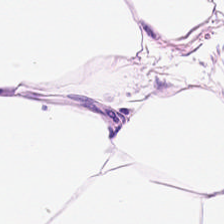Histology — adipocytes.
